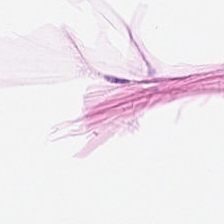Hematoxylin and eosin — Q: What tissue is shown?
A: This is adipose tissue.
